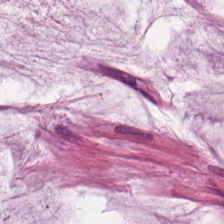Hematoxylin-and-eosin stained section. Predominantly extracellular mucin.
